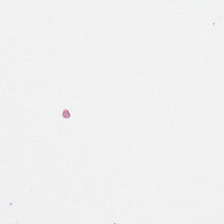This patch shows background (no tissue).
